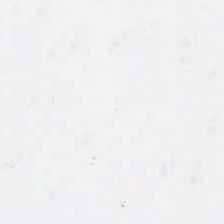H&E stain. Classification — background (no tissue).
